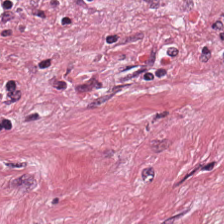Hematoxylin-and-eosin stained section. Histology — desmoplastic stroma.
